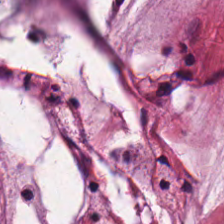Hematoxylin-and-eosin stained section — Predominant tissue: mucus.
